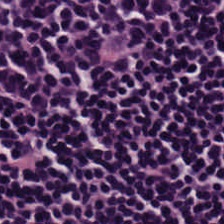Brightfield microscopy; 224×224 px patch; H&E stain.
This patch shows lymphocytic infiltrate.
